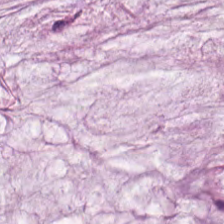H&E stain.
Predominant tissue = mucin.
